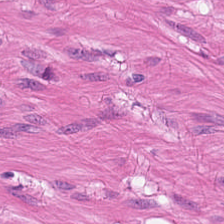Hematoxylin-and-eosin stained section.
Finding → smooth-muscle tissue.
